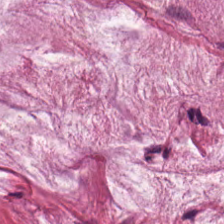Stain: hematoxylin-and-eosin stained section.
Tissue: mucus.
